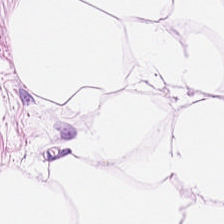Hematoxylin-and-eosin stained section — This patch shows adipose.
